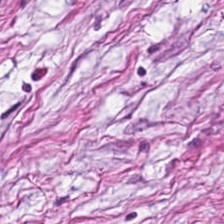H&E stain · FFPE — Tissue type: desmoplastic stroma.
